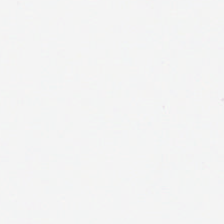224×224 px patch · hematoxylin-and-eosin stained section. Classification: no tissue.
